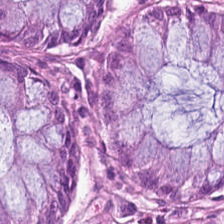FFPE tissue section; H&E; whole-slide-image patch. The predominant tissue is non-neoplastic colon mucosa.
